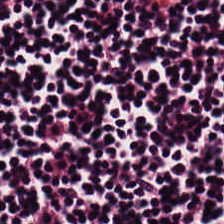Stain: hematoxylin-and-eosin stained section.
Classification: lymphoid infiltrate.
